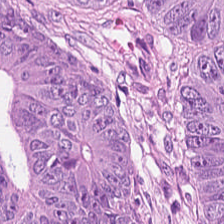0.5 µm/px · hematoxylin and eosin · 224×224 px tile.
Q: Identify the tissue.
A: The field shows colorectal adenocarcinoma.
